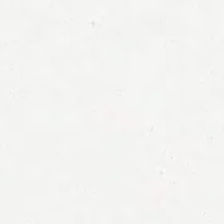20× equivalent magnification; whole-slide-image patch; hematoxylin-and-eosin stained section.
This patch shows no tissue.
